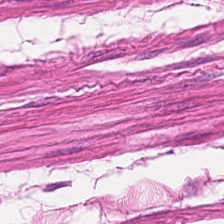H&E-stained tissue section. FFPE tissue section. 20× equivalent magnification. Impression → smooth-muscle tissue.
